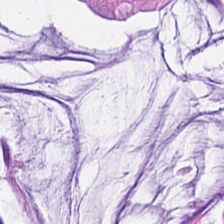Classification = mucin.
